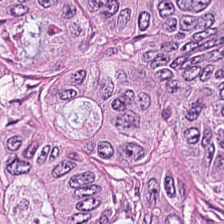Hematoxylin-and-eosin section: tumor epithelium.
